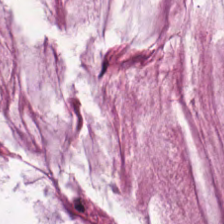Hematoxylin and eosin. 0.5 µm per pixel. Q: Classify this patch.
A: The field shows mucin.
